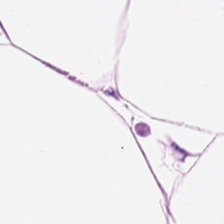Hematoxylin and eosin · 224×224 pixel tile.
{"tissue_type": "fat tissue"}
